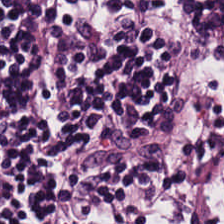Hematoxylin and eosin — {"tissue_type": "lymphoid infiltrate"}
